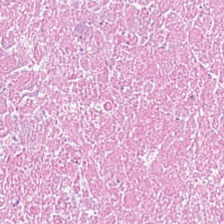Hematoxylin and eosin — Tissue class: necrotic debris.
